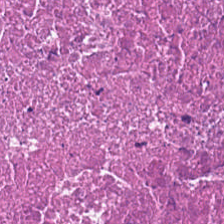Hematoxylin and eosin.
Classification = cellular debris.
